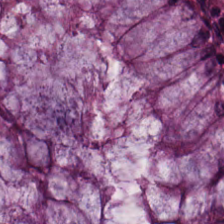H&E-stained tissue section. The tissue here is normal colonic mucosa.
